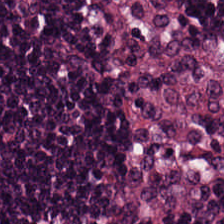H&E — lymphoid infiltrate.
